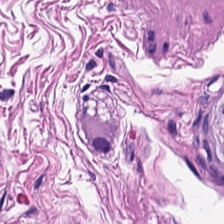Tissue = smooth-muscle tissue.
